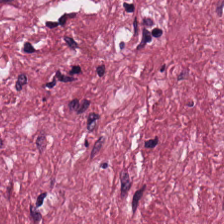Hematoxylin-and-eosin stained section; 0.5 µm per pixel — The classification is tumor-associated stroma.
